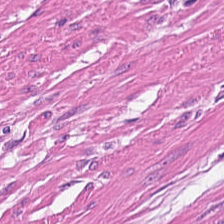Hematoxylin and eosin · FFPE tissue section.
Q: What is the predominant tissue type?
A: It is smooth muscle.
